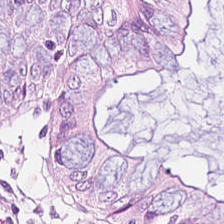Histology — normal colon mucosa.
